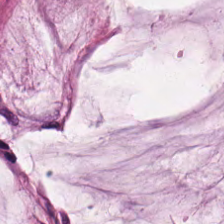Stain: H&E stain.
Tile size: 224×224 pixel tile.
Tissue type: extracellular mucin.
